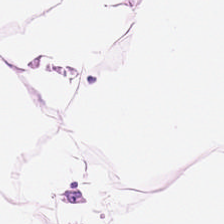H&E stain.
Showing fat tissue.
